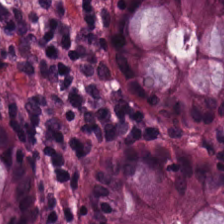H&E stain.
Tissue — normal colonic mucosa.
